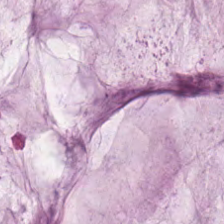H&E — Showing mucus.
